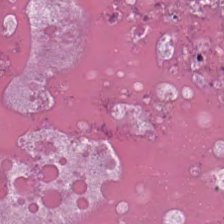H&E stain. {"tissue_type": "necrotic debris"}
